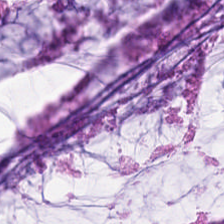FFPE; WSI patch; H&E stain.
Predominant tissue = extracellular mucin.
